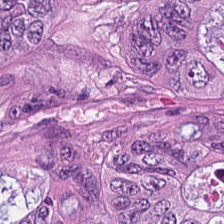H&E.
Predominant tissue: malignant epithelium.
